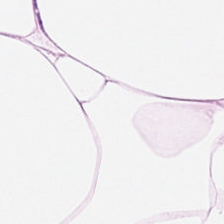224×224 pixel tile; H&E-stained tissue section; 0.5 µm per pixel. Histology → adipose.
